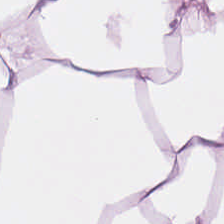H&E-stained tissue section — The tissue type is fat tissue.
